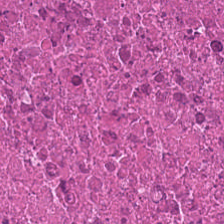Hematoxylin-and-eosin stained section — {"tissue_type": "debris"}
